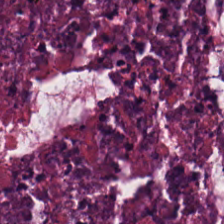Hematoxylin and eosin. Histology → debris.
